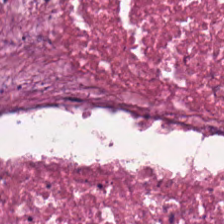Hematoxylin-and-eosin stained section — The tissue class is debris.
